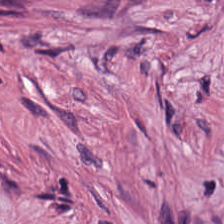The tissue is cancer-associated stroma.
